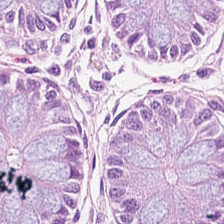H&E stain.
Histology — benign colonic mucosa.
